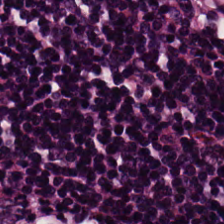The tissue is lymphocytic infiltrate.
